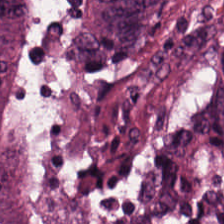Hematoxylin-and-eosin stained section — This patch shows tumor epithelium.
